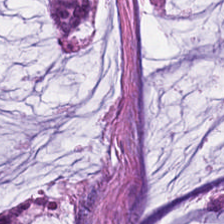Hematoxylin-and-eosin stained section — Q: What is the predominant tissue type?
A: It is mucus.
